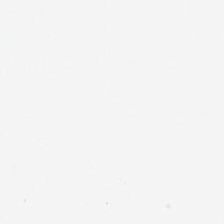H&E stain — {"content": "background (no tissue)"}
